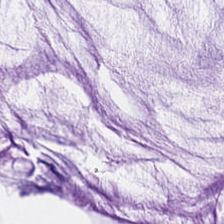H&E-stained tissue section · formalin-fixed paraffin-embedded section. Histology — mucin.
